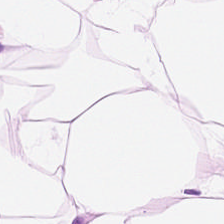H&E-stained tissue section; 224×224 px patch. Tissue type = adipose tissue.
